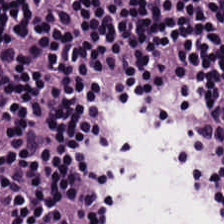Showing lymphocytic infiltrate.
